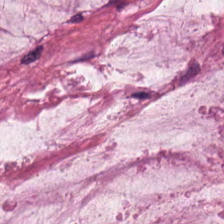Stain: hematoxylin-and-eosin stained section.
Tissue class: extracellular mucin.
